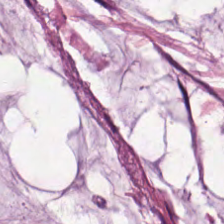0.5 microns per pixel. H&E — Tissue class — mucin.
